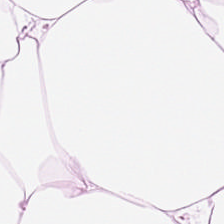Stain: H&E.
Tissue: adipocytes.
